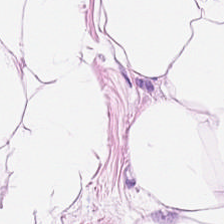H&E-stained section; the field shows adipose tissue.
